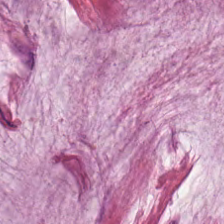H&E stain — Impression → mucin.
